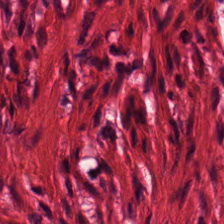0.5 microns per pixel. H&E.
Tissue type = smooth muscle.
